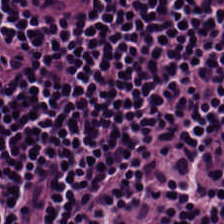224×224 pixel tile. H&E-stained tissue section. Brightfield. Tissue — lymphocyte aggregate.
